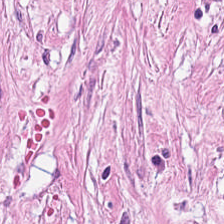H&E — Tissue class — tumor stroma.
